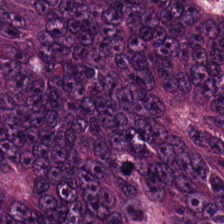Stain: hematoxylin and eosin.
Classification: adenocarcinoma.
